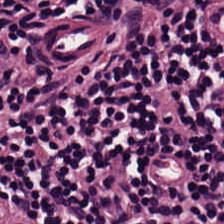Finding → lymphoid infiltrate.
